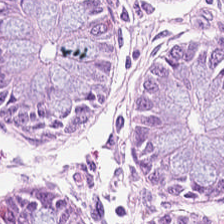Showing normal colon mucosa.
